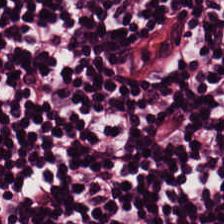20× equivalent magnification; hematoxylin-and-eosin stained section; 224×224 px tile — Finding → lymphocyte aggregate.
